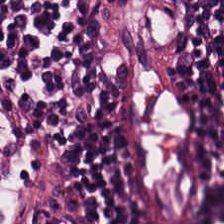Tissue class — lymphocytic infiltrate.
